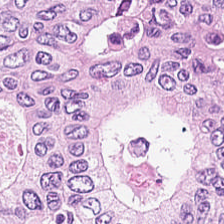H&E; brightfield — This field is adenocarcinoma.
